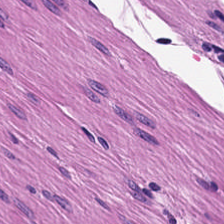224×224 px patch. H&E stain. Q: What type of tissue is this?
A: It is muscularis.
